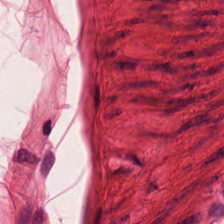Hematoxylin-and-eosin stained section.
Q: Classify this patch.
A: Smooth muscle.
